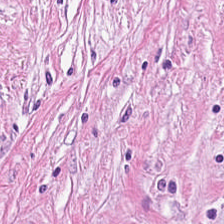H&E-stained section; the field shows tumor-associated stroma.
